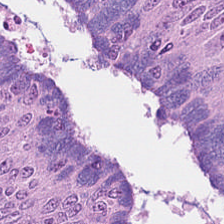H&E. Whole-slide-image patch — Tissue type: malignant epithelium.
